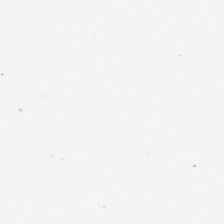Hematoxylin-and-eosin stained section. Formalin-fixed paraffin-embedded section — {"content": "background"}
